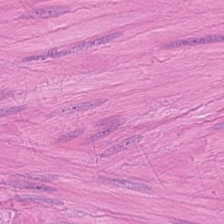Stain: H&E-stained tissue section.
Tile size: 224×224 px patch.
Tissue: muscularis.
